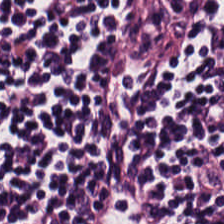H&E-stained tissue section; 224×224 px tile.
Finding → lymphocytes.
